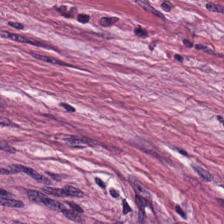FFPE tissue section. H&E-stained tissue section. Tissue type — desmoplastic stroma.
